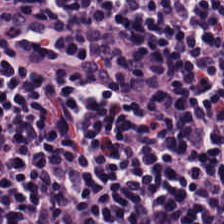0.5 µm/px. H&E-stained tissue section.
The tissue here is lymphocytes.
